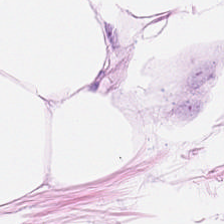Hematoxylin and eosin.
Tissue — fat tissue.
